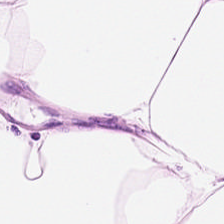The predominant tissue is adipocytes.
